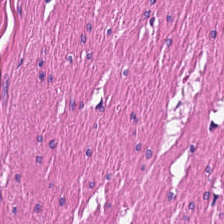Brightfield; hematoxylin and eosin — Histology — smooth-muscle tissue.
